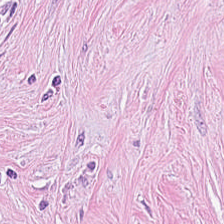Stain: H&E stain.
Resolution: 20× equivalent magnification.
Tissue type: tumor-associated stroma.
